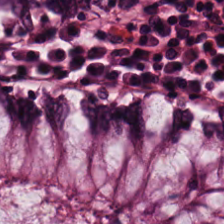Hematoxylin-and-eosin stained section; brightfield. Showing non-neoplastic colon mucosa.
